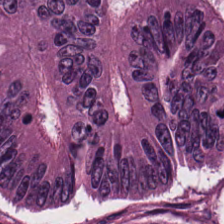Brightfield; H&E-stained tissue section — Classification = adenocarcinoma.
